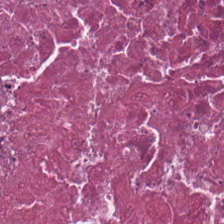Hematoxylin-and-eosin stained section. This field is debris.
